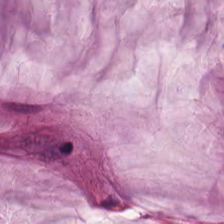FFPE tissue section. Hematoxylin-and-eosin stained section. Predominantly mucin.
